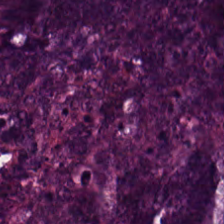H&E stain — Q: What does this patch show?
A: It is colorectal adenocarcinoma epithelium.
